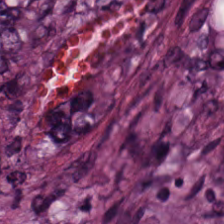Hematoxylin-and-eosin stained section; brightfield microscopy — Predominantly colorectal adenocarcinoma epithelium.
